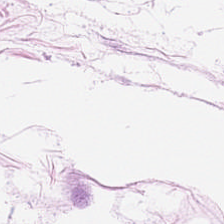H&E.
Histology → adipose.
